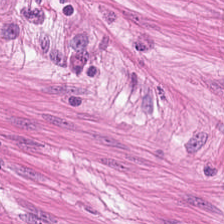H&E-stained tissue section. Histology — smooth-muscle tissue.
